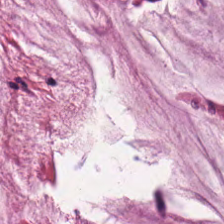Brightfield microscopy; hematoxylin and eosin — The predominant tissue is mucin.
